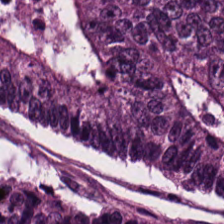H&E stain · brightfield microscopy.
The tissue class is malignant epithelium.
